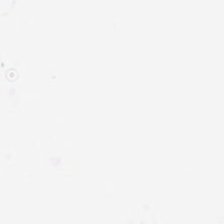Hematoxylin and eosin — Q: What is shown here?
A: The field shows no tissue.
